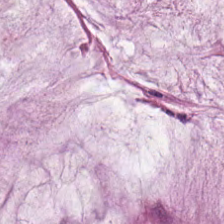Q: What is the predominant tissue type?
A: The field shows mucin.
